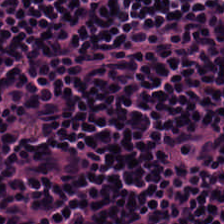H&E.
The predominant tissue is lymphocytes.
